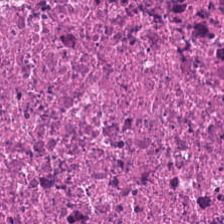Q: What tissue type is shown here?
A: The field shows necrotic debris.
